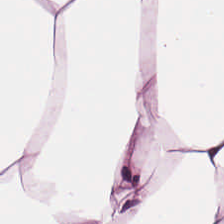Hematoxylin-and-eosin stained section.
{"tissue_type": "adipose"}
